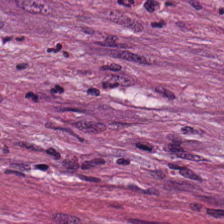Q: What tissue is shown?
A: It is desmoplastic stroma.
